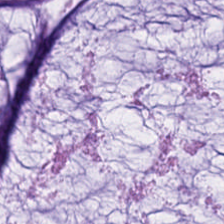H&E stain. The predominant tissue is mucin.
